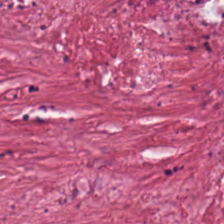H&E-stained tissue section — {"tissue_type": "tumor stroma"}
